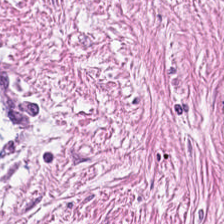FFPE; hematoxylin and eosin.
Predominant tissue: tumor-associated stroma.
